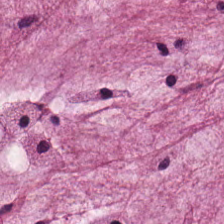H&E stain; 0.5 microns per pixel; formalin-fixed paraffin-embedded section — Finding — mucin.
